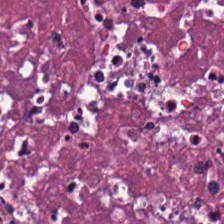Formalin-fixed paraffin-embedded section; H&E stain; 224×224 px patch. The tissue type is debris.
